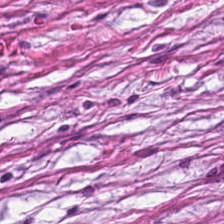Hematoxylin and eosin.
This patch shows tumor-associated stroma.
